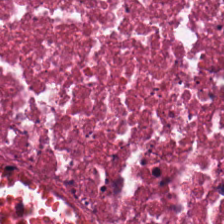H&E stain; formalin-fixed paraffin-embedded section — This patch shows debris.
